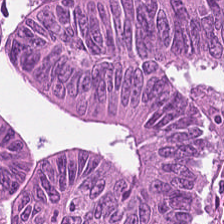Q: What is shown in this field?
A: It is colorectal adenocarcinoma epithelium.
